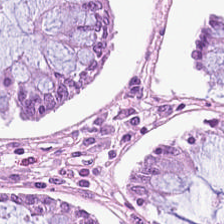H&E.
The tissue here is normal colon mucosa.
